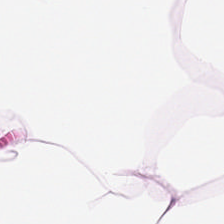Hematoxylin-and-eosin section: adipocytes.
